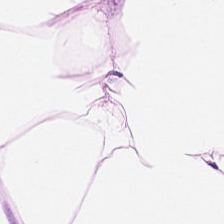FFPE tissue section. Hematoxylin and eosin.
Tissue type: adipose tissue.
